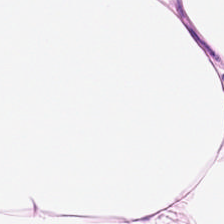Hematoxylin and eosin; 224×224 px patch. Tissue class = adipocytes.
